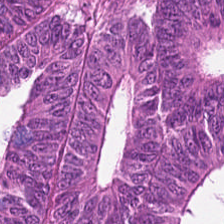H&E. Classification — tumor epithelium.
